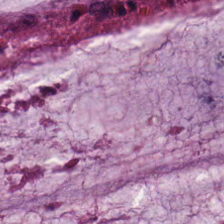H&E — extracellular mucin.
